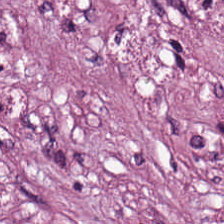The predominant tissue is tumor-associated stroma.
